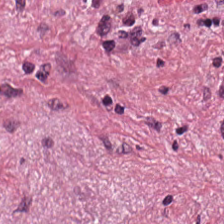224×224 px patch; hematoxylin and eosin — Showing desmoplastic stroma.
